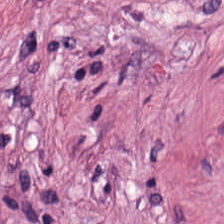H&E stain.
Q: What type of tissue is this?
A: The field shows tumor-associated stroma.
